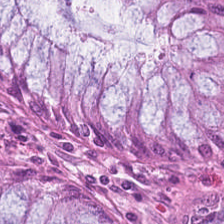Hematoxylin-and-eosin stained section.
The predominant tissue is normal colonic mucosa.
